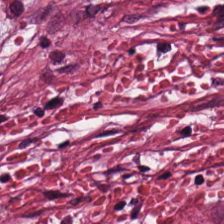H&E-stained tissue section. The predominant tissue is tumor stroma.
